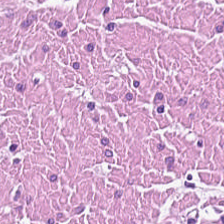Hematoxylin-and-eosin section: muscularis.
